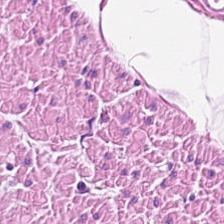Hematoxylin and eosin.
Q: What tissue type is shown here?
A: The field shows muscularis.
